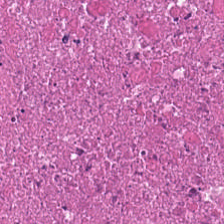Cellular debris.
